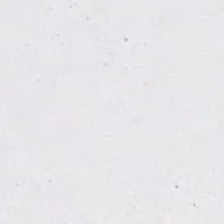Whole-slide-image patch; H&E; 224×224 px patch.
This patch shows background (no tissue).
